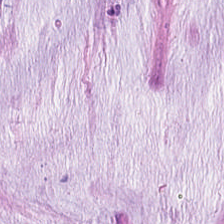H&E stain — Classification: extracellular mucin.
